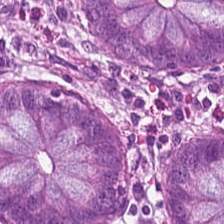Histology — benign colonic mucosa.
